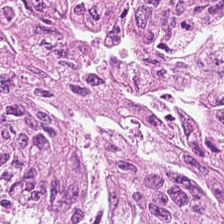0.5 µm/px; brightfield; hematoxylin-and-eosin stained section. This field is tumor epithelium.
